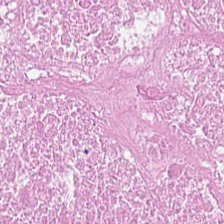0.5 µm per pixel · H&E-stained tissue section · 224×224 pixel tile.
Debris.
